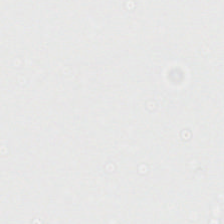H&E stain.
This patch shows empty background.
